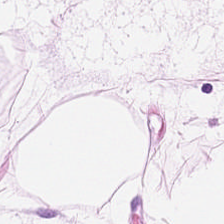The predominant tissue is adipose.
